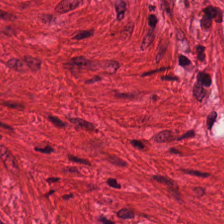Whole-slide-image patch · H&E.
Finding → smooth muscle.
